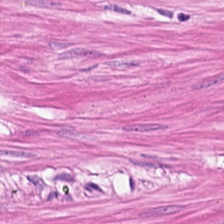Stain: H&E.
Tile size: 224×224 px patch.
Predominant tissue: muscularis.
